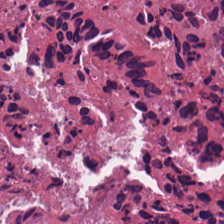H&E — necrotic debris.
